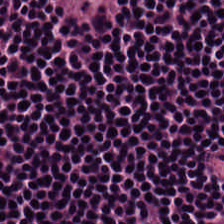0.5 µm/px; H&E stain; 224×224 pixel tile.
Finding — lymphoid infiltrate.
